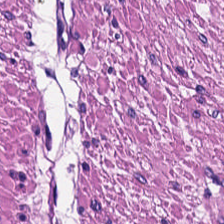Hematoxylin and eosin. {"tissue_type": "muscularis"}
